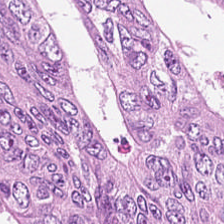Hematoxylin and eosin. The predominant tissue is colorectal adenocarcinoma epithelium.
